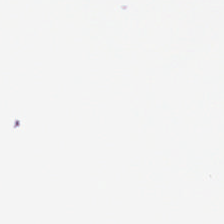Hematoxylin and eosin · formalin-fixed paraffin-embedded section.
Q: What is shown in this field?
A: The field shows background.
